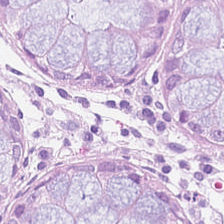0.5 µm per pixel · hematoxylin-and-eosin stained section · 224×224 px patch.
Q: What is shown here?
A: Benign colonic mucosa.
